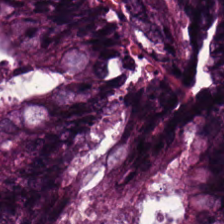Hematoxylin-and-eosin stained section — The tissue class is tumor epithelium.
